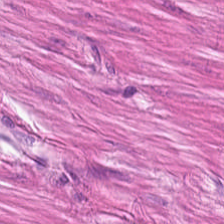H&E-stained tissue section — The tissue class is smooth-muscle tissue.
